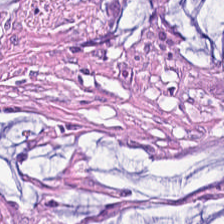The predominant tissue is tumor-associated stroma.
